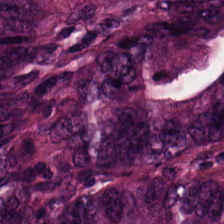H&E stain. This patch shows colorectal adenocarcinoma.
